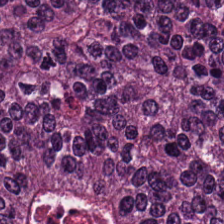20× equivalent magnification; H&E-stained tissue section.
Predominant tissue = colorectal adenocarcinoma.
